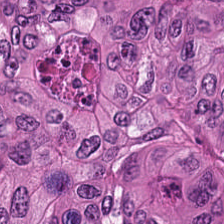Stain: H&E-stained tissue section.
Tissue: colorectal adenocarcinoma.
